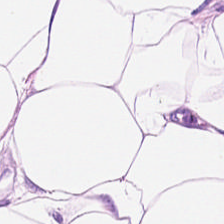H&E stain · 0.5 µm/px · whole-slide-image patch — This patch shows adipocytes.
